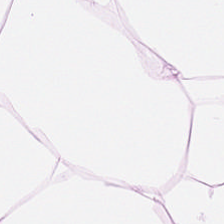Hematoxylin and eosin.
Predominant tissue = adipose tissue.
